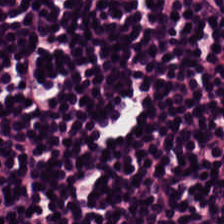Brightfield · 224×224 px tile · H&E-stained tissue section. Predominant tissue = lymphoid infiltrate.
